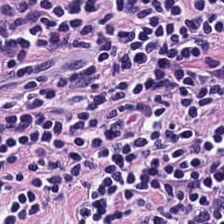FFPE · H&E · whole-slide-image patch — Predominantly lymphocyte aggregate.
